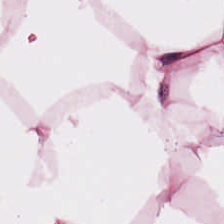Hematoxylin-and-eosin stained section · 20× equivalent magnification · brightfield. Predominantly adipose.
